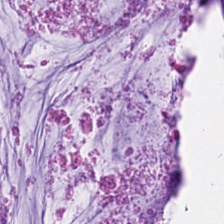0.5 microns per pixel; H&E stain. Showing mucin.
